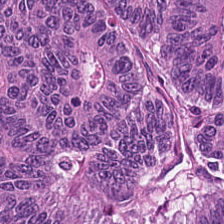Stain: H&E stain.
Predominant tissue: colorectal adenocarcinoma epithelium.
